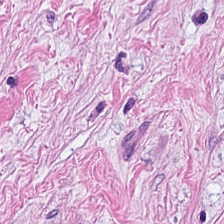Brightfield microscopy; hematoxylin and eosin.
Desmoplastic stroma.
